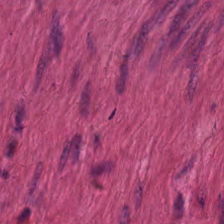Hematoxylin-and-eosin stained section — Histology — smooth muscle.
